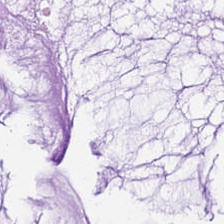Hematoxylin-and-eosin stained section. 224×224 pixel tile.
The tissue here is mucin.
